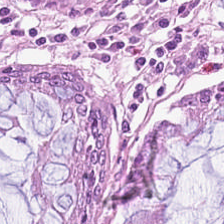H&E stain — Q: What does this patch show?
A: The field shows normal colonic mucosa.
